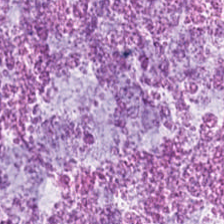H&E · 0.5 µm per pixel. Showing mucin.
